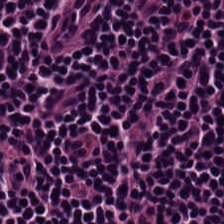224×224 pixel tile; H&E — Showing lymphocyte aggregate.
